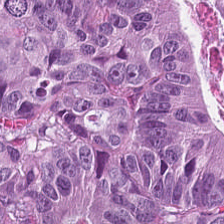WSI patch; H&E stain.
Predominantly malignant epithelium.
